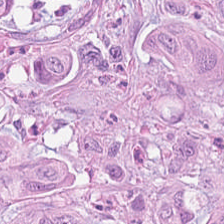Formalin-fixed paraffin-embedded section; H&E. Tissue type = adenocarcinoma.
